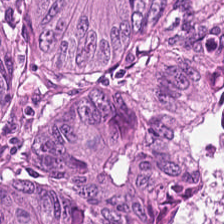Hematoxylin-and-eosin section: colorectal adenocarcinoma.
